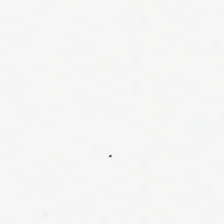Hematoxylin and eosin; 0.5 µm per pixel; whole-slide-image patch. Q: What is shown in this field?
A: It is no tissue.
